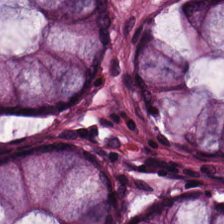H&E; formalin-fixed paraffin-embedded section. Q: What tissue type is shown here?
A: This is benign colonic mucosa.
